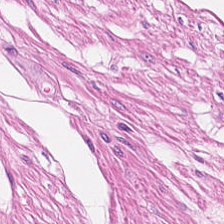0.5 µm/px; H&E stain.
Showing smooth-muscle tissue.
